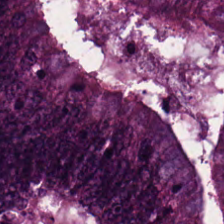224×224 px tile; H&E — Predominantly tumor epithelium.
